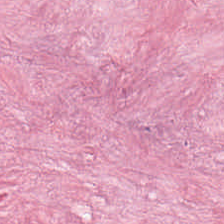Hematoxylin and eosin · WSI patch · 224×224 px tile — Finding — desmoplastic stroma.
